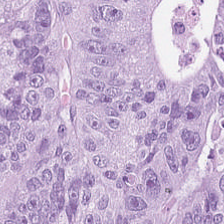Hematoxylin and eosin. FFPE. The tissue is colorectal adenocarcinoma epithelium.
